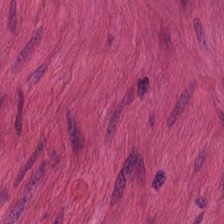Hematoxylin-and-eosin stained section. 0.5 µm per pixel.
Tissue = smooth muscle.
